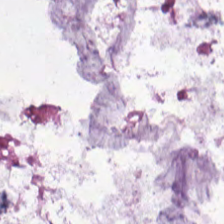Impression — mucus.
